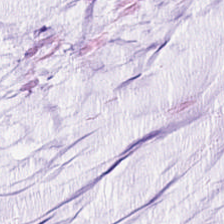Classification = mucin.
